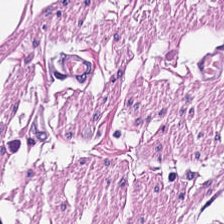Stain: H&E.
Tissue: smooth muscle.
